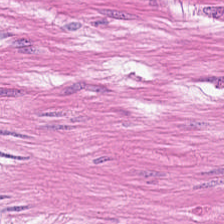H&E.
This patch shows smooth-muscle tissue.
